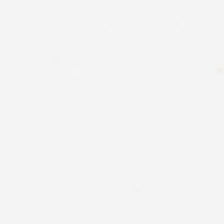Hematoxylin-and-eosin stained section. Background — no tissue in this field.
